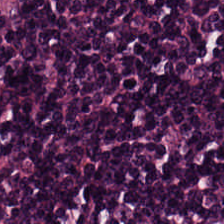Hematoxylin and eosin · FFPE tissue section.
Impression → lymphocytes.
